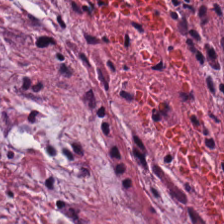Predominant tissue — desmoplastic stroma.
